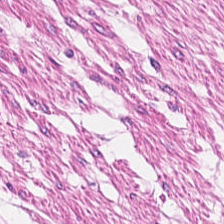Hematoxylin and eosin. Impression — muscularis.
